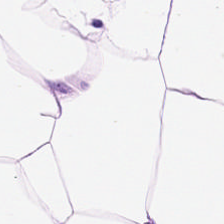Predominantly adipose.
